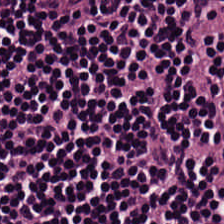Stain: H&E stain.
Acquisition: whole-slide-image patch.
Tissue: lymphoid infiltrate.
